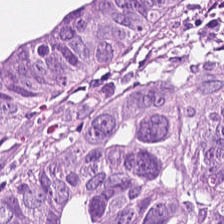Brightfield microscopy; hematoxylin and eosin. Q: What is shown here?
A: Adenocarcinoma.
